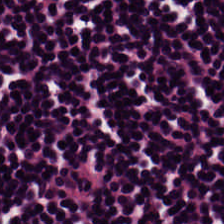Stain: H&E stain.
Resolution: 0.5 microns per pixel.
Preparation: FFPE tissue section.
Tissue type: lymphocyte aggregate.
